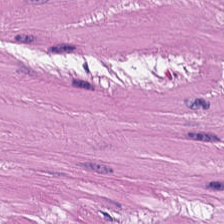Predominantly smooth-muscle tissue.
